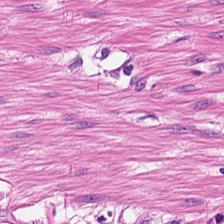0.5 µm per pixel; H&E. The tissue is muscularis.
